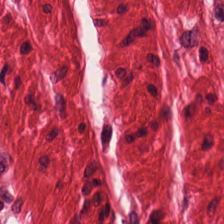Smooth muscle.
